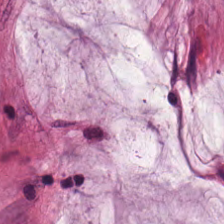Hematoxylin and eosin — Histology — mucin.
